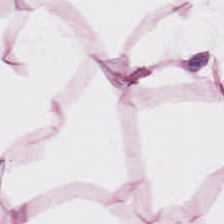0.5 µm/px. H&E-stained tissue section — Q: Classify this patch.
A: Adipose tissue.
